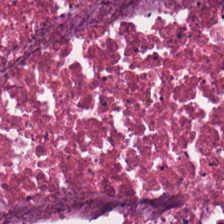H&E. 224×224 px patch. Predominant tissue — necrotic debris.
